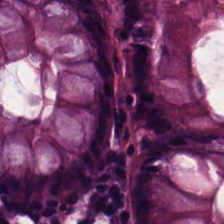H&E stain. The predominant tissue is normal colon mucosa.
